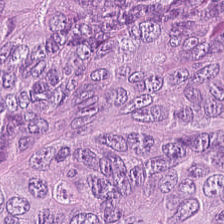Tissue = malignant epithelium.
